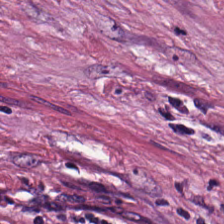Hematoxylin and eosin.
This patch shows desmoplastic stroma.
